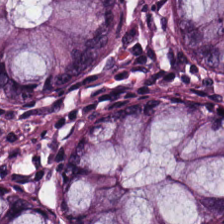224×224 px tile · H&E. The tissue here is non-neoplastic colon mucosa.
